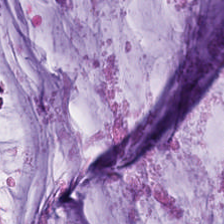FFPE tissue section · hematoxylin-and-eosin stained section — Tissue type — extracellular mucin.
